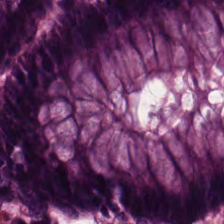Showing normal colonic mucosa.
